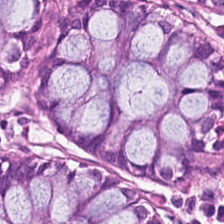Whole-slide-image patch; H&E.
The predominant tissue is benign colonic mucosa.
